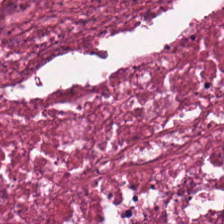Tissue: necrotic debris.
